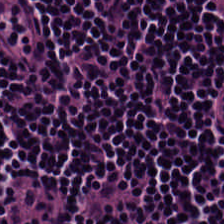Stain: hematoxylin-and-eosin stained section.
Resolution: 0.5 µm/px.
Preparation: formalin-fixed paraffin-embedded section.
Tissue type: lymphocytic infiltrate.
